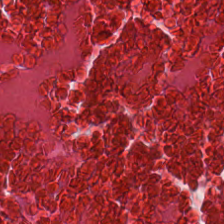H&E-stained tissue section. Showing cellular debris.
